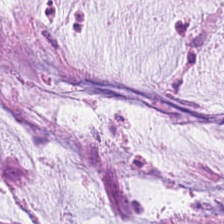Stain: H&E.
Resolution: 20× equivalent magnification.
Predominant tissue: extracellular mucin.
